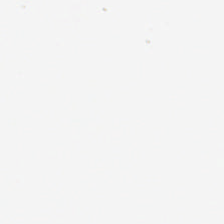Stain: hematoxylin-and-eosin stained section.
Preparation: FFPE tissue section.
Resolution: 0.5 microns per pixel.
Content: no tissue.
